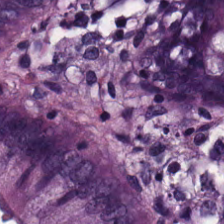H&E stain; 20× equivalent magnification. The predominant tissue is non-neoplastic colon mucosa.
